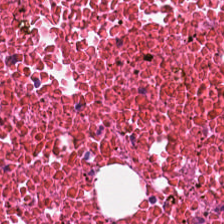H&E-stained tissue section — Q: What is shown in this field?
A: It is cellular debris.
